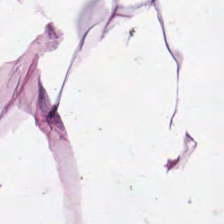H&E stain. Tissue: adipose.
